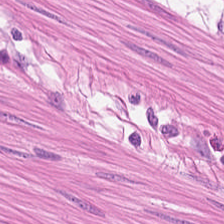Stain: hematoxylin-and-eosin stained section.
Tissue: muscularis.
